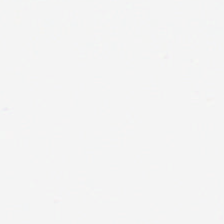H&E stain — Q: What does this patch show?
A: This is no tissue.
